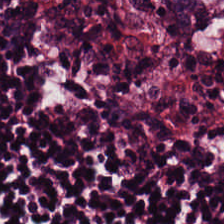Stain: H&E.
Classification: lymphocytic infiltrate.
